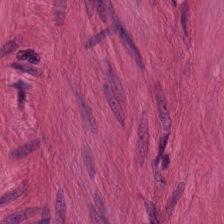H&E.
Tissue type: smooth muscle.
